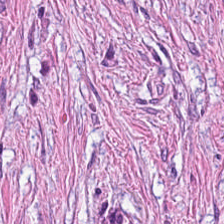Stain: H&E stain.
Acquisition: brightfield microscopy.
Resolution: 20× equivalent magnification.
Tissue: tumor stroma.
